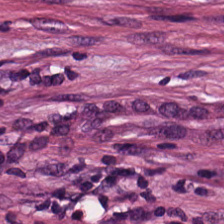H&E · FFPE tissue section — Tissue type = tumor stroma.
